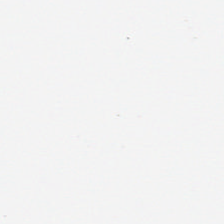Hematoxylin and eosin. {"content": "background (no tissue)"}
